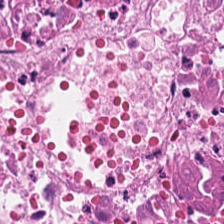0.5 µm per pixel. H&E — Impression — cellular debris.
